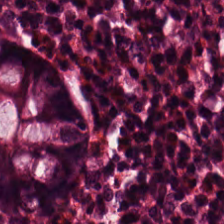Hematoxylin and eosin; WSI patch. Predominant tissue — benign colonic mucosa.
